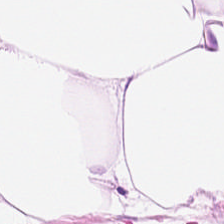Hematoxylin and eosin — Q: What does this patch show?
A: The field shows fat tissue.
